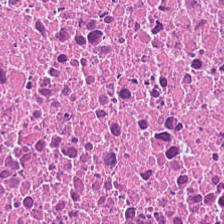This patch shows cellular debris.
